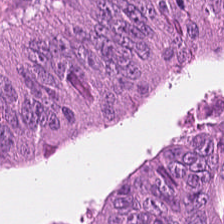H&E-stained tissue section — Histology — tumor epithelium.
